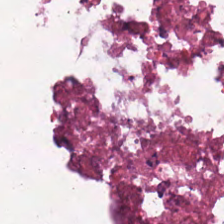H&E stain; 224×224 px tile; FFPE tissue section.
Finding → necrotic debris.
